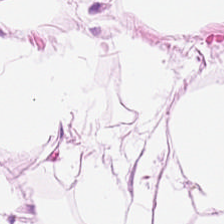Stain: H&E-stained tissue section.
Tissue class: adipocytes.
